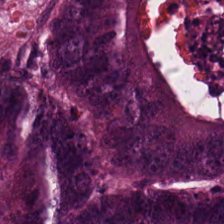Hematoxylin-and-eosin stained section.
Q: What type of tissue is this?
A: This is colorectal adenocarcinoma epithelium.
